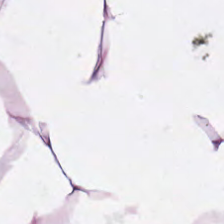Impression — adipocytes.
